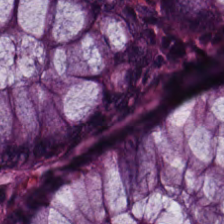H&E · WSI patch · FFPE tissue section. Impression — normal colonic mucosa.
